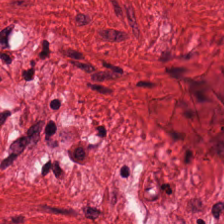H&E — The predominant tissue is muscularis.
